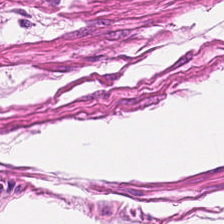Hematoxylin and eosin; FFPE tissue section.
Tissue = muscularis.
